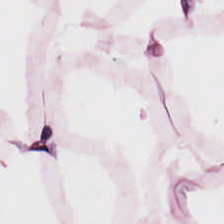Hematoxylin and eosin; 0.5 µm per pixel. This patch shows adipocytes.
